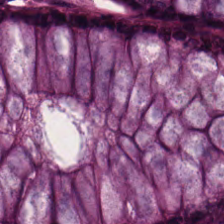0.5 microns per pixel; hematoxylin and eosin. Normal colonic mucosa.
